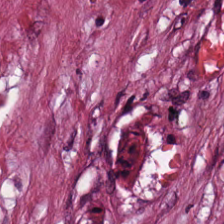H&E — Tissue type — desmoplastic stroma.
